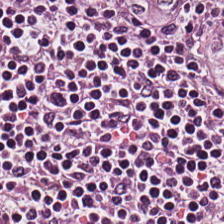FFPE tissue section; H&E-stained tissue section.
Predominant tissue = lymphocytic infiltrate.
